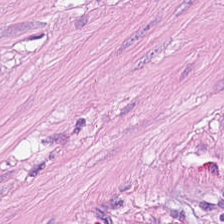Stain: H&E-stained tissue section.
Tile size: 224×224 px tile.
Tissue type: muscularis.
